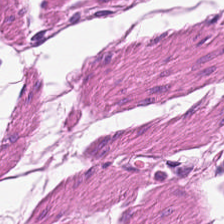H&E stain. The tissue is smooth muscle.
